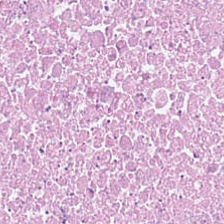The tissue here is necrotic debris.
